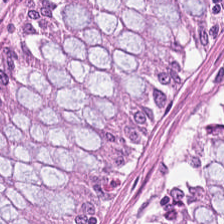Stain: H&E stain.
Tile size: 224×224 pixel tile.
Tissue class: normal colon mucosa.
